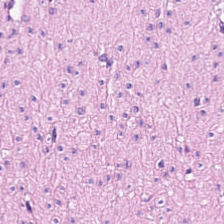H&E — Smooth-muscle tissue.
